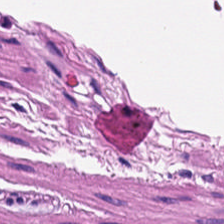The predominant tissue is smooth muscle.
